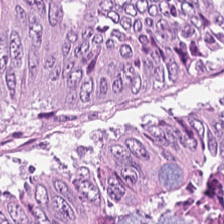{"tissue_type": "tumor epithelium"}
